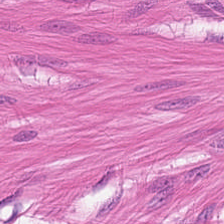This field is smooth-muscle tissue.
